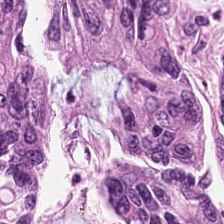Hematoxylin-and-eosin stained section — This field is malignant epithelium.
